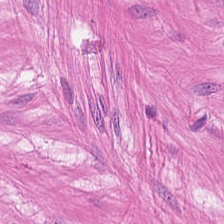Hematoxylin-and-eosin stained section.
Q: What tissue type is shown here?
A: Muscularis.
